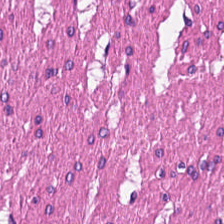H&E-stained tissue section; formalin-fixed paraffin-embedded section; 224×224 px patch.
Q: What is shown here?
A: It is smooth-muscle tissue.
